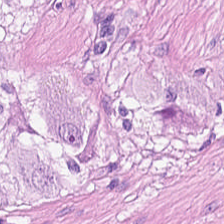Hematoxylin-and-eosin stained section. The tissue here is smooth muscle.
